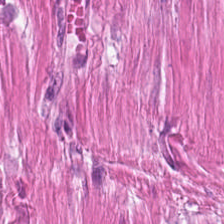Hematoxylin-and-eosin stained section.
Muscularis.
